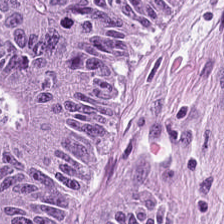Brightfield microscopy; H&E stain; FFPE. This field is colorectal adenocarcinoma epithelium.
